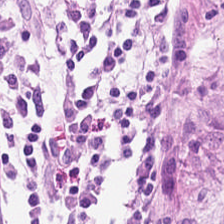FFPE · H&E stain — Normal colon mucosa.
